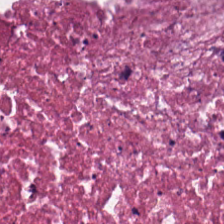H&E — necrotic debris.
